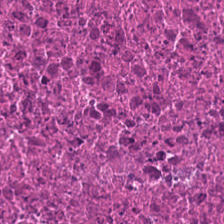Hematoxylin and eosin. 0.5 microns per pixel. 224×224 pixel tile — Q: What tissue is shown?
A: The field shows debris.
